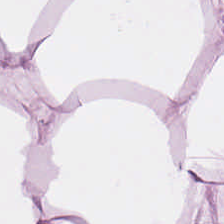Stain: H&E.
Tissue type: adipose tissue.
